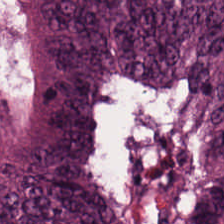Brightfield; H&E-stained tissue section; FFPE tissue section — Q: What tissue is shown?
A: The field shows tumor epithelium.
